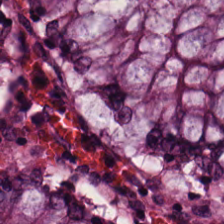Hematoxylin-and-eosin stained section; formalin-fixed paraffin-embedded section — The tissue class is normal colon mucosa.
